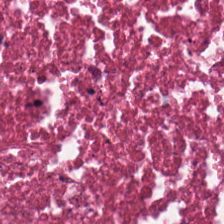This patch shows cellular debris.
